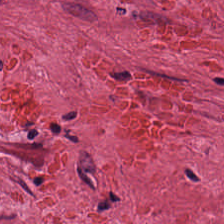Stain: hematoxylin-and-eosin stained section.
Tile size: 224×224 pixel tile.
Tissue: desmoplastic stroma.
